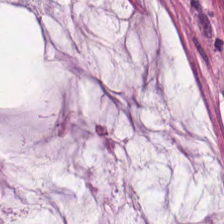FFPE tissue section · hematoxylin and eosin. Mucin.
